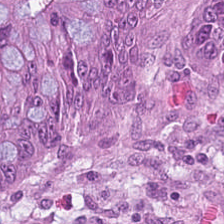20× equivalent magnification; H&E stain. Tissue: colorectal adenocarcinoma epithelium.
